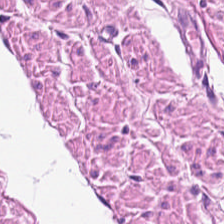{"tissue_type": "muscularis"}
